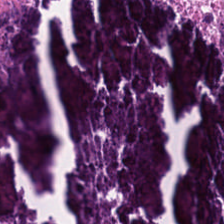Hematoxylin and eosin — Finding → cellular debris.
